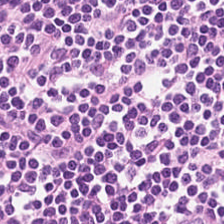H&E-stained tissue section.
Predominantly lymphocytic infiltrate.
